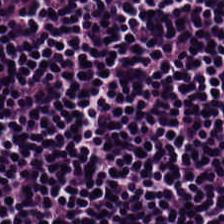H&E-stained tissue section; 20× equivalent magnification; FFPE. Tissue = lymphocytic infiltrate.
